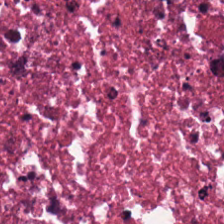FFPE tissue section. H&E stain. Tissue type = necrotic debris.
